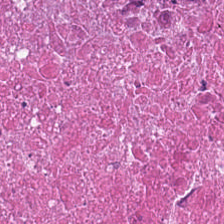Stain: H&E-stained tissue section.
Preparation: formalin-fixed paraffin-embedded section.
Tissue type: debris.
